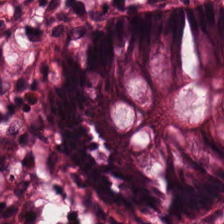H&E-stained tissue section · brightfield.
This field is normal colonic mucosa.
